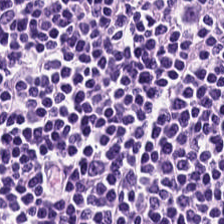Hematoxylin and eosin — Histology → lymphocyte aggregate.
